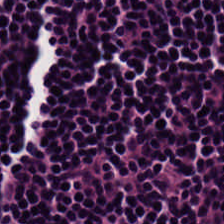H&E — lymphocytic infiltrate.
